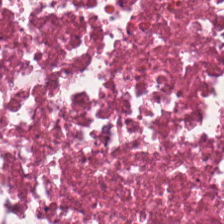H&E — The classification is cellular debris.
